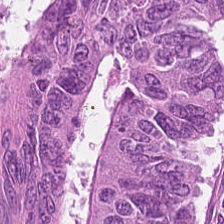H&E-stained tissue section. Q: What is the predominant tissue type?
A: Adenocarcinoma.
